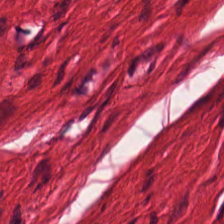H&E · whole-slide-image patch · 20× equivalent magnification. Q: Identify the tissue.
A: This is muscularis.
